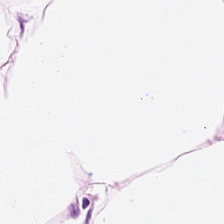H&E stain. Predominantly adipose tissue.
